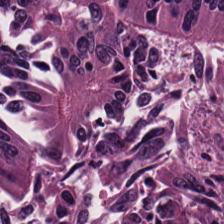Hematoxylin-and-eosin section: tumor epithelium.
